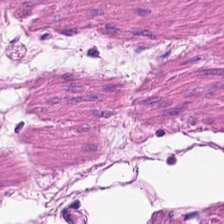Hematoxylin-and-eosin stained section.
Q: Identify the tissue.
A: This is muscularis.
